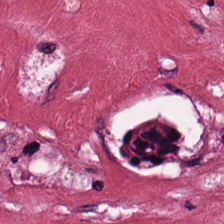Hematoxylin and eosin; 224×224 px tile; formalin-fixed paraffin-embedded section — The classification is cancer-associated stroma.
